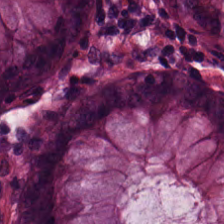Hematoxylin-and-eosin stained section.
Classification = non-neoplastic colon mucosa.
